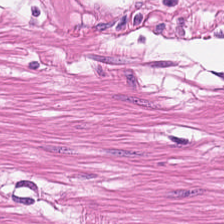Q: What does this patch show?
A: Smooth muscle.
